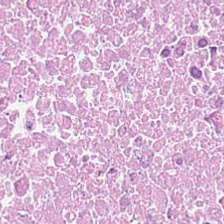Impression → cellular debris.
